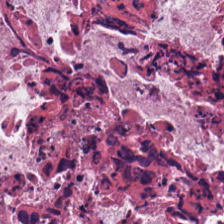Predominantly cellular debris.
